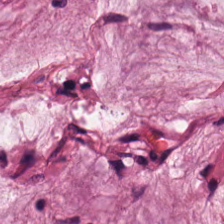Formalin-fixed paraffin-embedded section; H&E stain. Tissue type — mucin.
